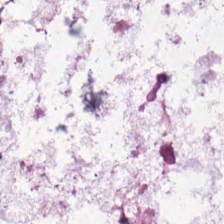Hematoxylin-and-eosin stained section.
Q: Identify the tissue.
A: It is mucus.
